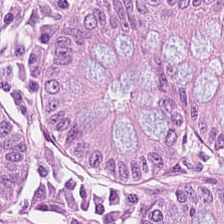Hematoxylin-and-eosin stained section.
Showing normal colon mucosa.
